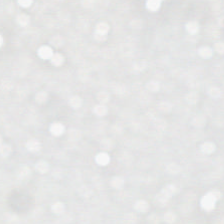H&E. 0.5 µm/px. FFPE. Q: What does this patch show?
A: The field shows background (no tissue).
